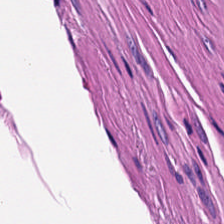Hematoxylin and eosin · whole-slide-image patch · 224×224 pixel tile.
Tissue = muscularis.
